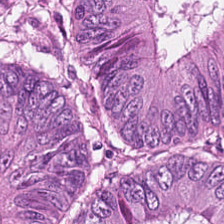Showing tumor epithelium.
